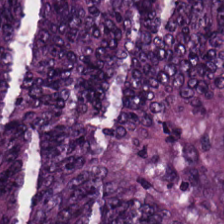Stain: hematoxylin-and-eosin stained section.
Preparation: FFPE.
Tile size: 224×224 px patch.
Tissue class: colorectal adenocarcinoma epithelium.
